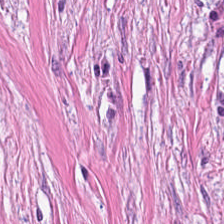H&E-stained tissue section. Tumor stroma.
